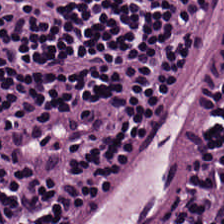WSI patch · H&E-stained tissue section · FFPE.
Impression — lymphocytes.
